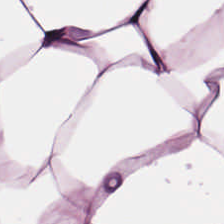FFPE tissue section; 0.5 µm/px; H&E stain. {"tissue_type": "adipose"}
